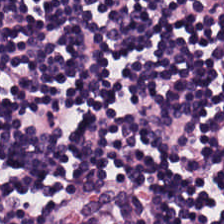Showing lymphocytes.
